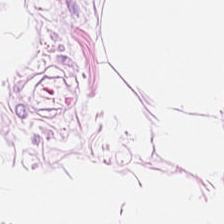H&E stain — Tissue class — fat tissue.
